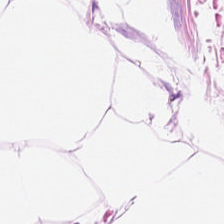Predominant tissue = adipocytes.
